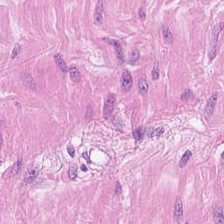H&E-stained tissue section — Predominantly smooth muscle.
